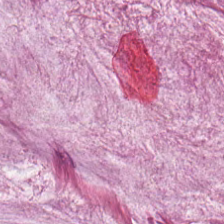Classification — extracellular mucin.
